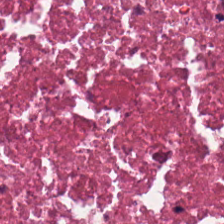Hematoxylin and eosin.
The tissue here is cellular debris.
